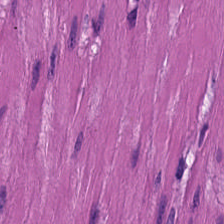Histology — muscularis.
